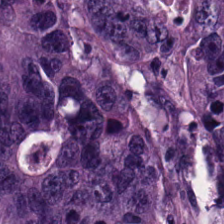H&E.
Histology → colorectal adenocarcinoma.
